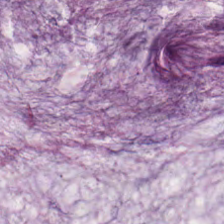Whole-slide-image patch · H&E-stained tissue section.
Finding — mucin.
